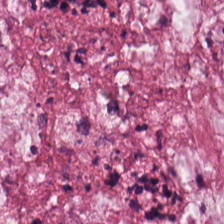Q: Classify this patch.
A: Mucin.
